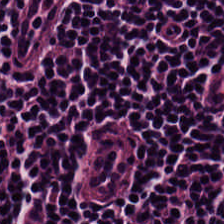224×224 px patch; H&E-stained tissue section.
Lymphocytic infiltrate.
